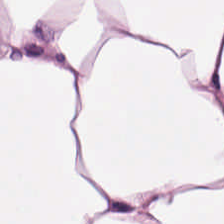H&E.
The tissue class is adipose.
